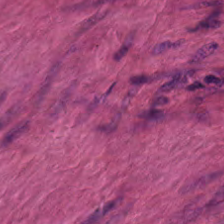Stain: H&E-stained tissue section.
Tissue: smooth muscle.
